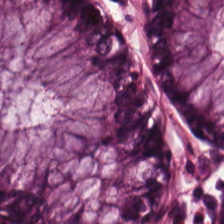Stain: H&E-stained tissue section.
Resolution: 0.5 microns per pixel.
Tissue class: normal colonic mucosa.
